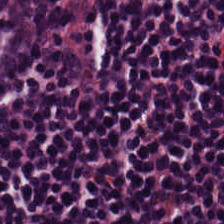Hematoxylin-and-eosin stained section. The classification is lymphocytic infiltrate.
